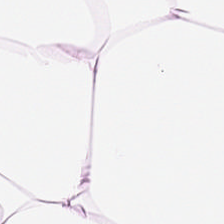This patch shows adipose tissue.
